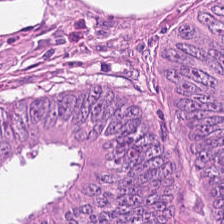Hematoxylin-and-eosin stained section — Finding → colorectal adenocarcinoma.
